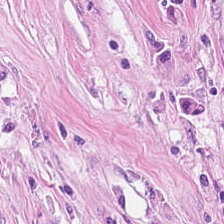Stain: H&E.
Tissue class: cancer-associated stroma.
